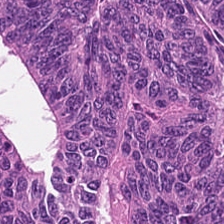Stain: H&E stain.
Acquisition: brightfield microscopy.
Resolution: 0.5 µm/px.
Tissue class: tumor epithelium.
